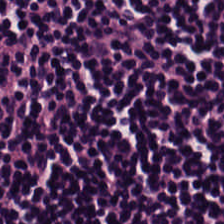Hematoxylin and eosin — Q: What is shown in this field?
A: This is lymphoid infiltrate.
